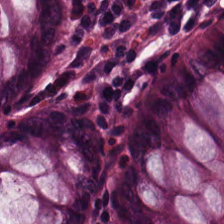224×224 px patch; hematoxylin and eosin.
The tissue here is non-neoplastic colon mucosa.
